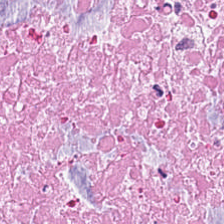Stain: H&E stain.
Classification: debris.
